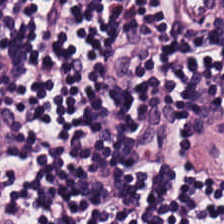Brightfield microscopy; 0.5 µm/px; H&E-stained tissue section — Classification = lymphocytes.
